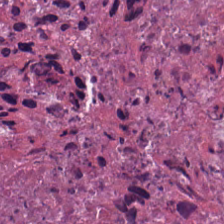Hematoxylin and eosin · FFPE — Tissue class — debris.
